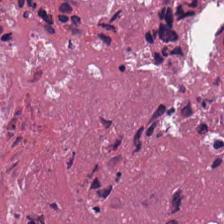H&E — Predominant tissue — necrotic debris.
